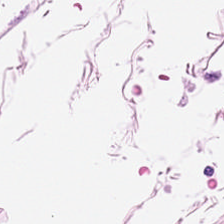{"tissue_type": "adipose"}
